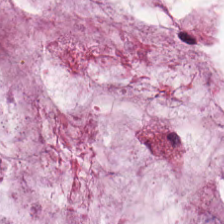H&E-stained tissue section — Predominant tissue = mucus.
